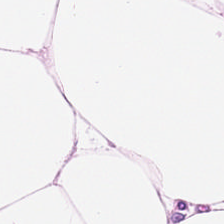Hematoxylin-and-eosin stained section; WSI patch; 224×224 px patch.
Q: What is shown in this field?
A: This is fat tissue.
